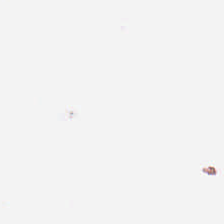H&E. Finding — background (no tissue).
